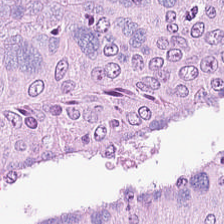Q: What is the predominant tissue type?
A: This is malignant epithelium.
